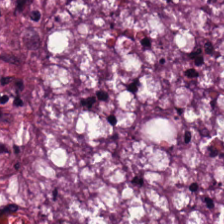The predominant tissue is tumor epithelium.
